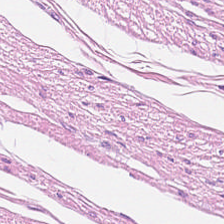Stain: H&E-stained tissue section.
Tissue class: smooth muscle.
